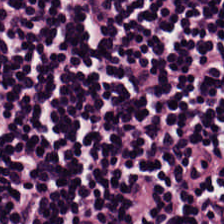H&E-stained tissue section. This field is lymphocytic infiltrate.
